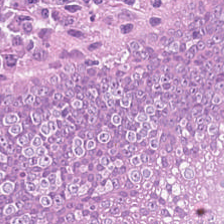H&E-stained tissue section. Predominantly malignant epithelium.
